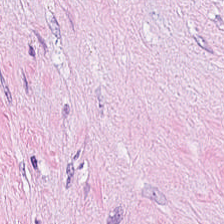224×224 px tile · H&E stain — Predominant tissue — tumor-associated stroma.
